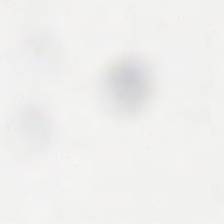This patch shows empty background.
